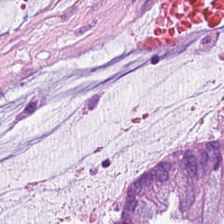224×224 px patch. Hematoxylin-and-eosin stained section.
Classification = mucus.
